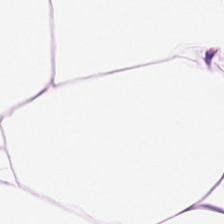FFPE. 224×224 px patch. H&E-stained tissue section — Predominantly adipose tissue.
